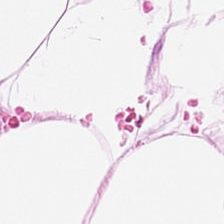Impression → fat tissue.
